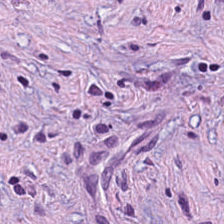H&E stain.
Tissue class: desmoplastic stroma.
